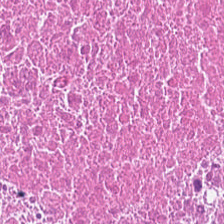Stain: H&E stain.
Predominant tissue: cellular debris.
